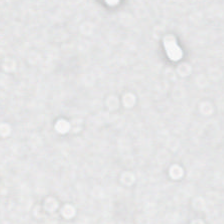224×224 px tile. Hematoxylin-and-eosin stained section. FFPE — {"content": "empty background"}
